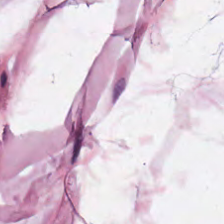Stain: H&E-stained tissue section.
Tissue type: adipose.
